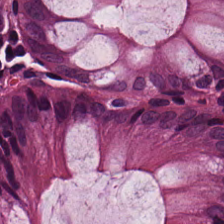Hematoxylin and eosin; FFPE tissue section.
Q: Identify the tissue.
A: Normal colon mucosa.
